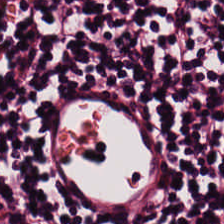WSI patch. H&E-stained tissue section.
Lymphoid infiltrate.
